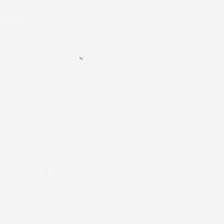H&E stain.
Q: What does this patch show?
A: It is empty background.
